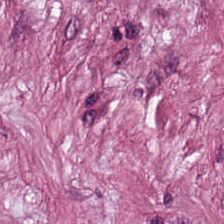Hematoxylin and eosin; 224×224 pixel tile — This field is tumor-associated stroma.
